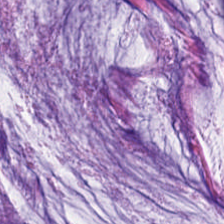Hematoxylin-and-eosin stained section · formalin-fixed paraffin-embedded section. Tissue: extracellular mucin.
